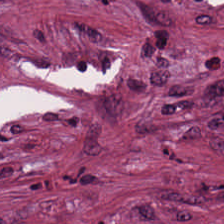Hematoxylin and eosin; 224×224 px patch.
Histology → cancer-associated stroma.
